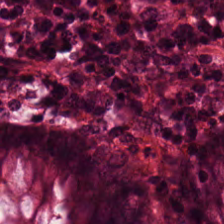Hematoxylin and eosin.
The predominant tissue is normal colonic mucosa.
